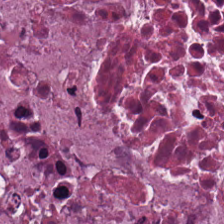Hematoxylin and eosin. Debris.
